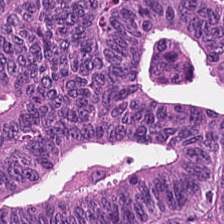H&E stain — Showing colorectal adenocarcinoma.
